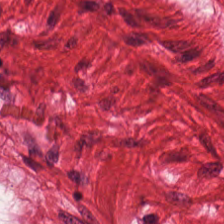Hematoxylin and eosin. 224×224 pixel tile. Q: Identify the tissue.
A: This is smooth muscle.
